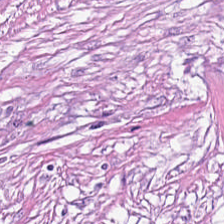H&E; brightfield.
{"tissue_type": "cancer-associated stroma"}
